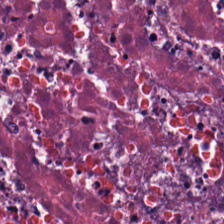Hematoxylin and eosin — {"tissue_type": "debris"}
